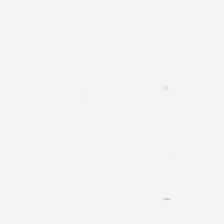Empty field — empty background.
